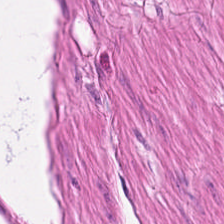Tissue type: smooth muscle.
